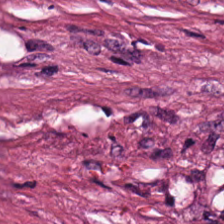H&E; 224×224 px tile; brightfield.
This patch shows debris.
